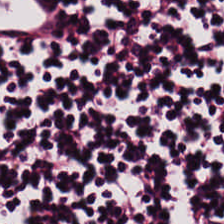Stain: H&E-stained tissue section.
Tile size: 224×224 pixel tile.
Tissue class: lymphocytic infiltrate.
